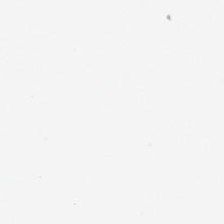0.5 µm/px; hematoxylin and eosin. The field content is background (no tissue).
